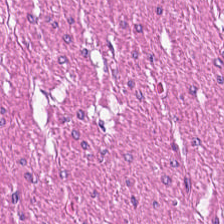H&E stain.
Q: What is shown here?
A: Smooth muscle.
